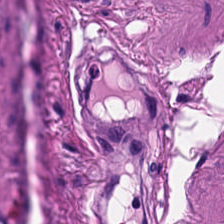H&E stain — Tissue = smooth muscle.
